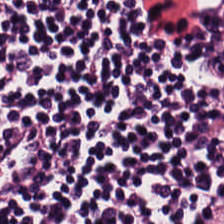Formalin-fixed paraffin-embedded section. H&E-stained tissue section. 0.5 µm/px.
Classification = lymphoid infiltrate.
